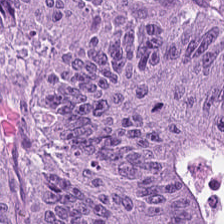Hematoxylin and eosin.
This field is malignant epithelium.
